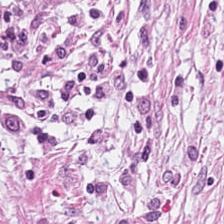H&E-stained tissue section.
Tissue: cancer-associated stroma.
